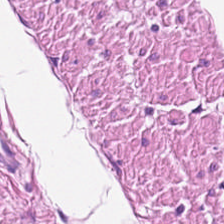Hematoxylin and eosin. 224×224 pixel tile. Formalin-fixed paraffin-embedded section. {"tissue_type": "smooth-muscle tissue"}
